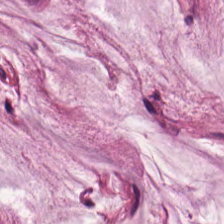Tissue type: mucus.
